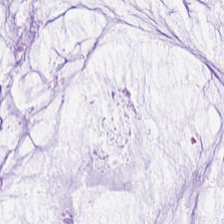Hematoxylin-and-eosin stained section; 0.5 µm/px; WSI patch. The classification is mucin.
